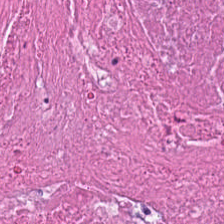Stain: hematoxylin and eosin.
Acquisition: brightfield microscopy.
Resolution: 0.5 microns per pixel.
Tissue type: debris.
